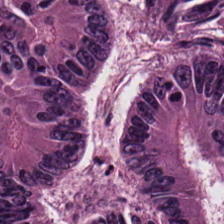Hematoxylin and eosin.
Predominantly colorectal adenocarcinoma epithelium.
